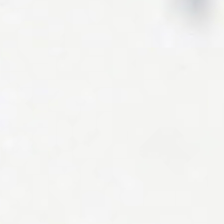20× equivalent magnification; H&E stain; 224×224 px tile — Field content — background (no tissue).
